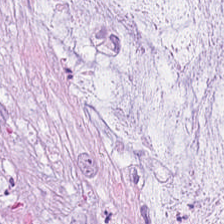Hematoxylin-and-eosin stained section.
This field is extracellular mucin.
